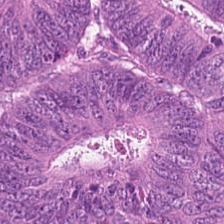{"tissue_type": "adenocarcinoma"}
